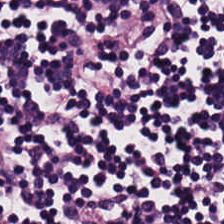Histology → lymphocytes.
